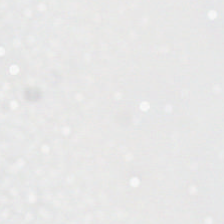Hematoxylin-and-eosin stained section · 0.5 µm/px. Field content: empty background.
